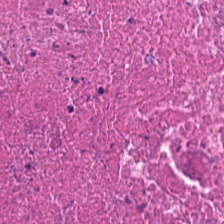H&E-stained tissue section. The classification is debris.
